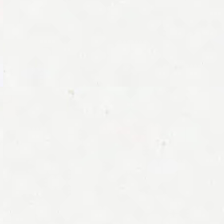H&E. Field content: background.
